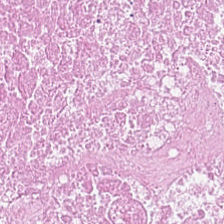Hematoxylin-and-eosin stained section — The tissue here is necrotic debris.
